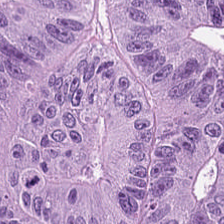H&E stain. Q: What is shown in this field?
A: It is malignant epithelium.
